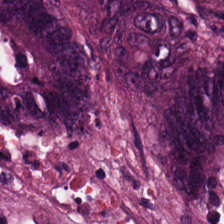WSI patch; FFPE tissue section; hematoxylin-and-eosin stained section.
This patch shows colorectal adenocarcinoma.
